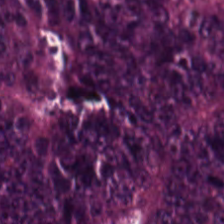H&E stain — The classification is tumor epithelium.
